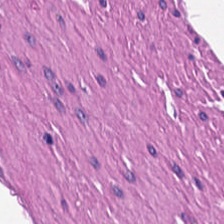Tissue — smooth muscle.
